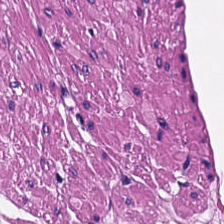H&E-stained tissue section — This field is smooth muscle.
